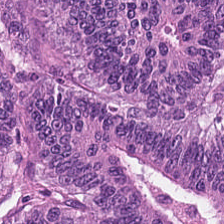H&E-stained tissue section. Tissue — adenocarcinoma.
